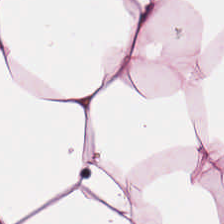Q: What is shown in this field?
A: The field shows adipose.
